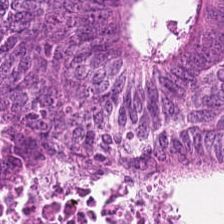H&E — malignant epithelium.
